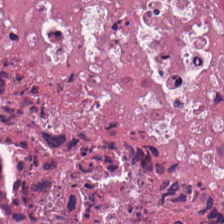Brightfield microscopy; 224×224 px tile; H&E-stained tissue section — The predominant tissue is debris.
